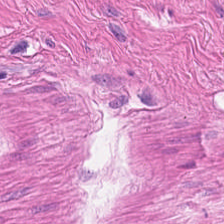Hematoxylin and eosin; 224×224 px tile. This patch shows smooth muscle.
